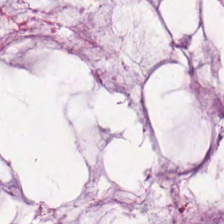H&E-stained tissue section — Tissue type = extracellular mucin.
